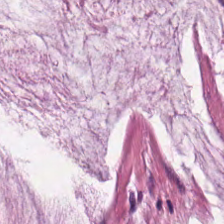H&E — This field is mucin.
